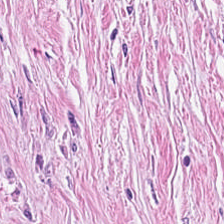FFPE tissue section. H&E stain. Q: What is shown in this field?
A: This is tumor stroma.
